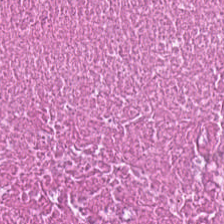Tissue class — cellular debris.
